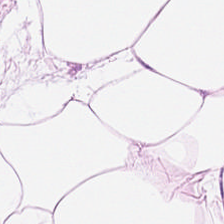Stain: H&E-stained tissue section.
Classification: adipose.
